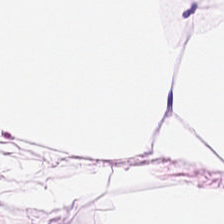Formalin-fixed paraffin-embedded section · hematoxylin and eosin — The tissue is adipose.
